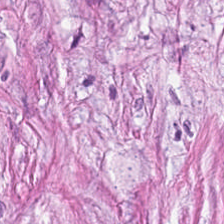Hematoxylin-and-eosin stained section; formalin-fixed paraffin-embedded section. Finding → cancer-associated stroma.
